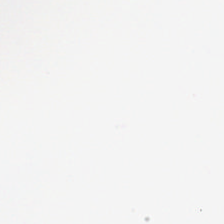This field is background (no tissue).
